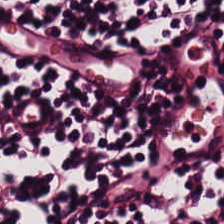H&E; brightfield microscopy. Q: What is shown here?
A: Lymphocyte aggregate.
